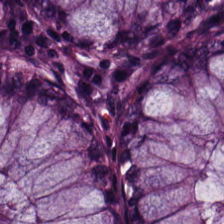H&E stain.
Histology → benign colonic mucosa.
